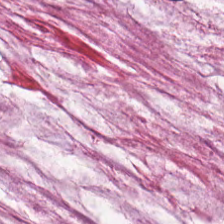H&E-stained tissue section — Predominantly extracellular mucin.
